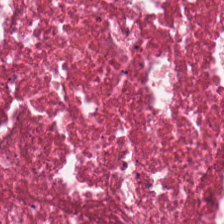Hematoxylin and eosin. 224×224 pixel tile. Whole-slide-image patch — Predominant tissue — cellular debris.
